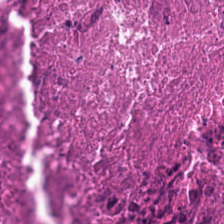Hematoxylin-and-eosin stained section; 224×224 px patch. The predominant tissue is cellular debris.
